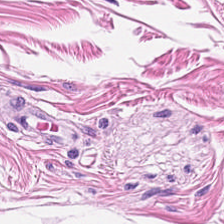The tissue here is muscularis.
